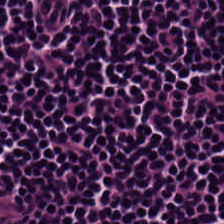Stain: hematoxylin and eosin.
Preparation: FFPE.
Acquisition: brightfield.
Classification: lymphocytic infiltrate.
